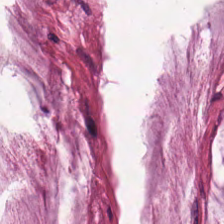Hematoxylin-and-eosin stained section. Q: What tissue type is shown here?
A: This is extracellular mucin.
